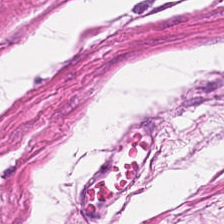H&E; 20× equivalent magnification.
Q: What type of tissue is this?
A: The field shows smooth muscle.
